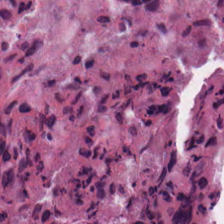FFPE tissue section; H&E-stained tissue section; 224×224 px patch. Tissue — cellular debris.
